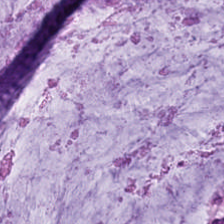Hematoxylin and eosin; FFPE; WSI patch. Classification — mucin.
